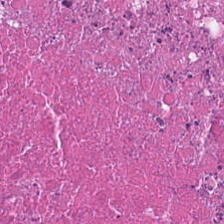H&E-stained tissue section — Showing debris.
